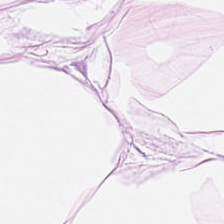H&E-stained tissue section. 0.5 µm/px. Formalin-fixed paraffin-embedded section. Histology — adipose.
